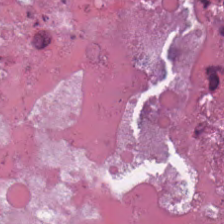Brightfield · H&E. Impression — cellular debris.
